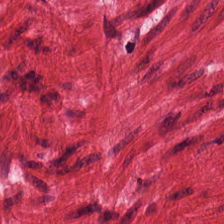Hematoxylin-and-eosin stained section; 0.5 µm/px.
This patch shows smooth muscle.
